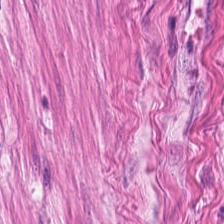H&E stain. 0.5 microns per pixel. FFPE.
This field is smooth muscle.
